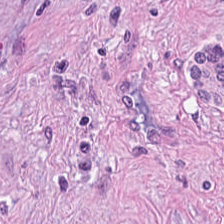Hematoxylin-and-eosin stained section. The tissue here is tumor stroma.
